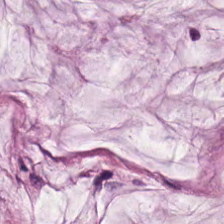H&E-stained tissue section — Q: Classify this patch.
A: The field shows mucus.
